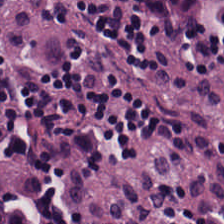H&E stain — Tissue: lymphocytic infiltrate.
